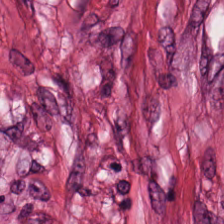H&E-stained tissue section · 0.5 µm/px.
The predominant tissue is tumor-associated stroma.
